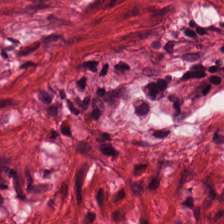Hematoxylin and eosin · 0.5 µm per pixel · FFPE tissue section.
This patch shows smooth muscle.
